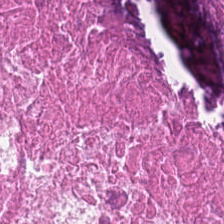Q: What tissue is shown?
A: This is necrotic debris.
